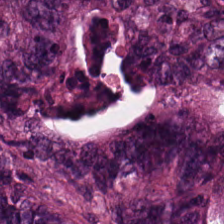Hematoxylin-and-eosin stained section. Q: What tissue is shown?
A: It is colorectal adenocarcinoma.
